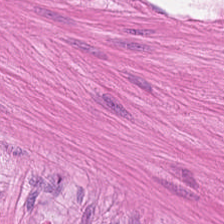H&E stain. Predominantly muscularis.
